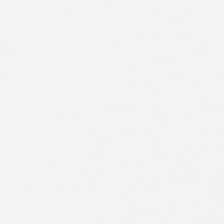Finding → empty background.
